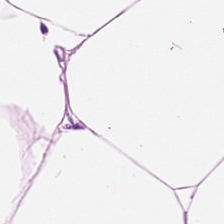Predominantly adipose tissue.
